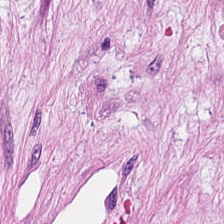Whole-slide-image patch. H&E stain.
Showing cancer-associated stroma.
